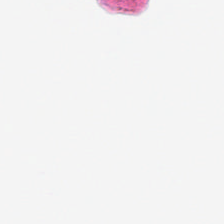Formalin-fixed paraffin-embedded section · 224×224 px patch · H&E — Finding — no tissue.
